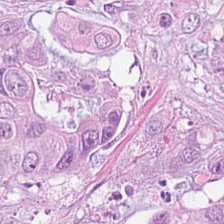H&E — Q: Identify the tissue.
A: This is tumor epithelium.
